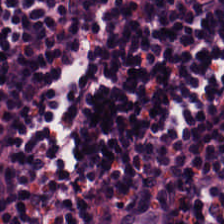H&E stain. Q: Identify the tissue.
A: Lymphocyte aggregate.
